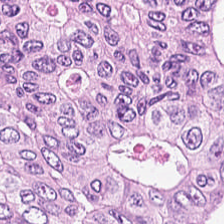H&E.
Tissue type = tumor epithelium.
